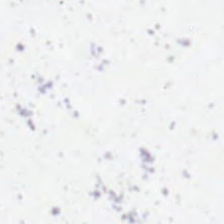224×224 pixel tile. Hematoxylin and eosin.
Content = background (no tissue).
